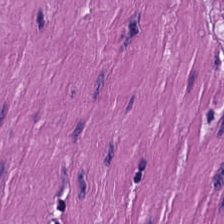FFPE · hematoxylin and eosin. {"tissue_type": "muscularis"}
